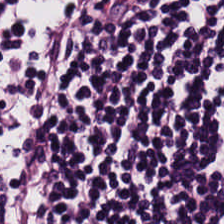Q: What is shown in this field?
A: This is lymphocyte aggregate.
